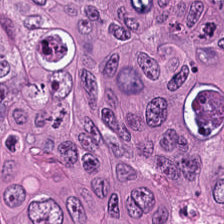Hematoxylin-and-eosin stained section — The tissue class is adenocarcinoma.
